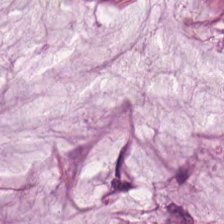H&E.
{"tissue_type": "extracellular mucin"}
